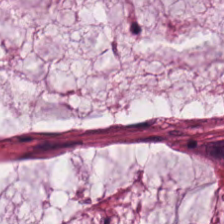H&E-stained tissue section — Q: What is the predominant tissue type?
A: It is mucin.
